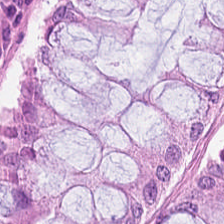H&E; 224×224 px patch — Predominantly benign colonic mucosa.
